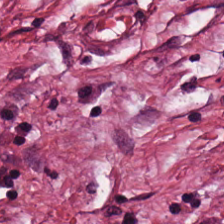Hematoxylin and eosin.
{"tissue_type": "desmoplastic stroma"}
